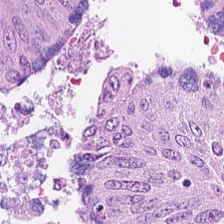H&E. Brightfield — Tissue type — adenocarcinoma.
